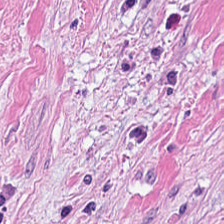Hematoxylin-and-eosin stained section — Q: What is the predominant tissue type?
A: This is tumor stroma.
